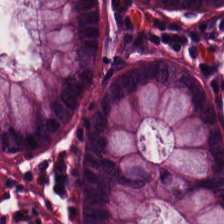Hematoxylin and eosin — The predominant tissue is non-neoplastic colon mucosa.
